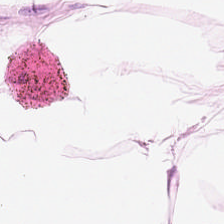Tissue: adipose tissue.
